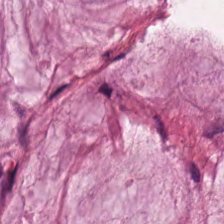H&E-stained tissue section. Showing mucus.
